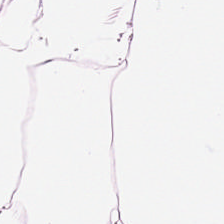Classification = adipose tissue.
